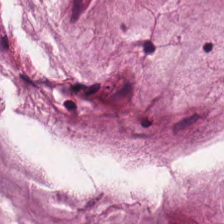0.5 microns per pixel; H&E-stained tissue section — Classification = extracellular mucin.
